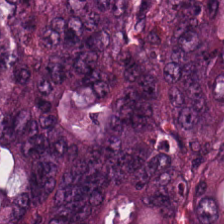Hematoxylin-and-eosin section: colorectal adenocarcinoma.
